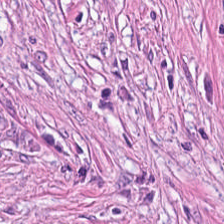H&E.
Tumor stroma.
